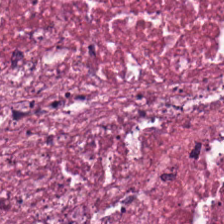Hematoxylin and eosin. WSI patch. Tissue = debris.
